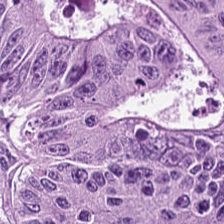Q: What tissue type is shown here?
A: This is adenocarcinoma.
